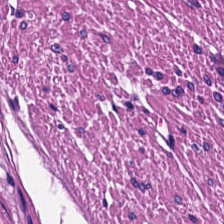Muscularis.
